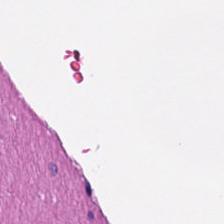FFPE tissue section. H&E stain — This field is smooth-muscle tissue.
